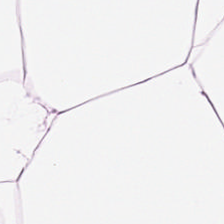{"tissue_type": "adipose tissue"}
